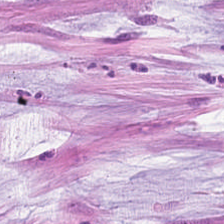Q: What does this patch show?
A: It is extracellular mucin.
